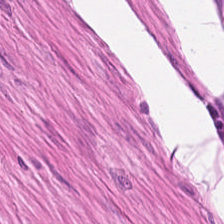H&E-stained tissue section.
Q: What is shown here?
A: This is smooth-muscle tissue.
